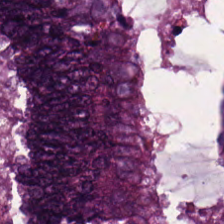H&E-stained tissue section — The tissue here is adenocarcinoma.
